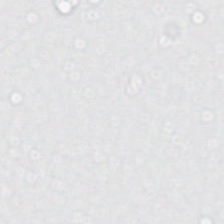0.5 µm per pixel; H&E stain — Background — no tissue in this field.
